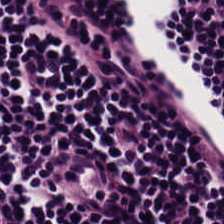Stain: H&E.
Preparation: formalin-fixed paraffin-embedded section.
Tissue class: lymphocytic infiltrate.
